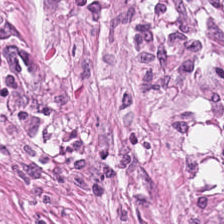H&E. The tissue here is tumor-associated stroma.
